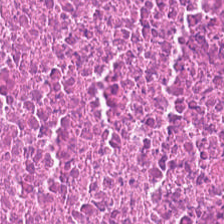Hematoxylin-and-eosin stained section — Tissue class = debris.
